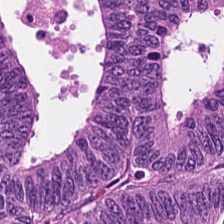Hematoxylin-and-eosin stained section. 0.5 µm per pixel — Impression — colorectal adenocarcinoma.
